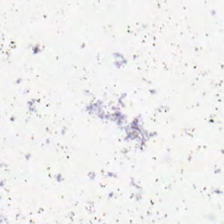224×224 px patch. Hematoxylin-and-eosin stained section.
Classification: no tissue.
